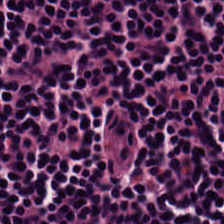H&E stain — Impression → lymphoid infiltrate.
